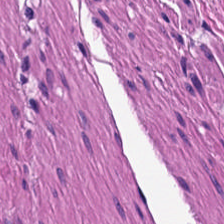Hematoxylin and eosin.
Muscularis.
